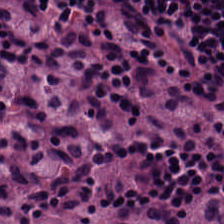This field is lymphocytes.
